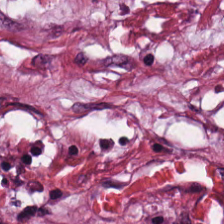Stain: H&E.
Classification: cancer-associated stroma.
